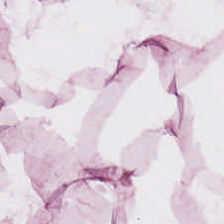Tissue type: adipose.
